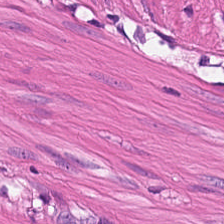Stain: H&E stain.
Tissue: muscularis.
